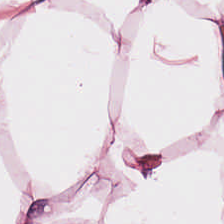Q: What does this patch show?
A: It is fat tissue.
